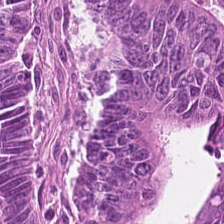Hematoxylin and eosin — {"tissue_type": "colorectal adenocarcinoma"}
